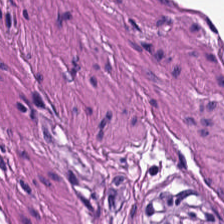Hematoxylin and eosin. This field is muscularis.
